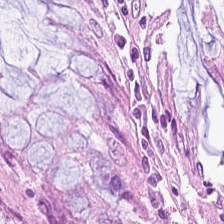0.5 µm/px. Hematoxylin-and-eosin stained section — Classification — non-neoplastic colon mucosa.
